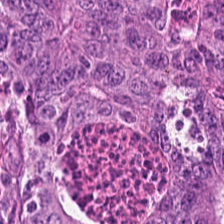The predominant tissue is colorectal adenocarcinoma.
